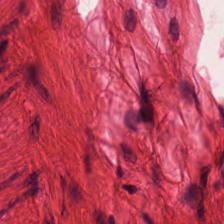H&E · whole-slide-image patch — {"tissue_type": "smooth-muscle tissue"}
